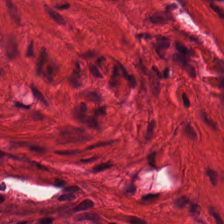Tissue — muscularis.
